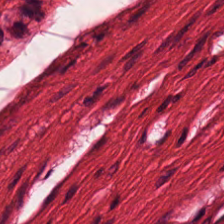H&E-stained tissue section — This field is smooth muscle.
